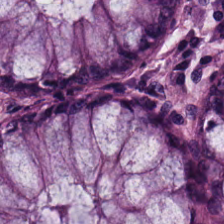Whole-slide-image patch · H&E — Classification = benign colonic mucosa.
